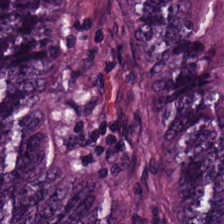This patch shows colorectal adenocarcinoma epithelium.
